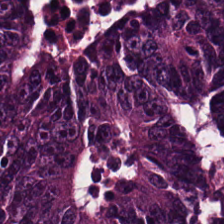Hematoxylin and eosin · formalin-fixed paraffin-embedded section. Impression — tumor epithelium.
